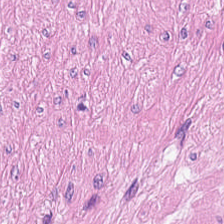Whole-slide-image patch · H&E — This patch shows smooth-muscle tissue.
